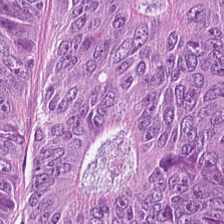H&E stain — Predominant tissue — malignant epithelium.
